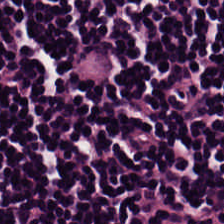H&E.
Predominant tissue = lymphocytic infiltrate.
